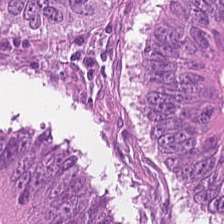Stain: H&E stain.
Tissue type: malignant epithelium.
